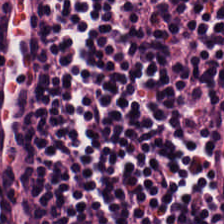Hematoxylin and eosin. Predominantly lymphocytes.
